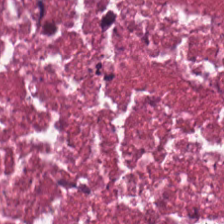H&E — Tissue class — necrotic debris.
